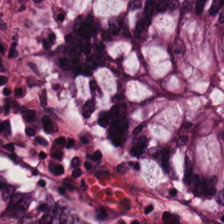H&E.
Predominantly normal colon mucosa.
